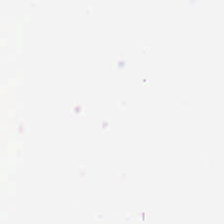{"content": "no tissue"}
